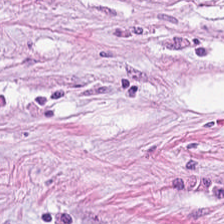FFPE; H&E. Showing tumor stroma.
